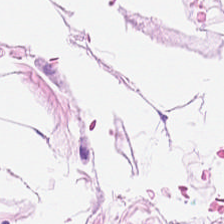Q: What tissue type is shown here?
A: Fat tissue.
